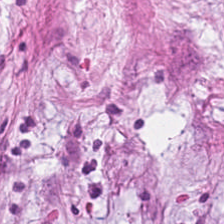Stain: hematoxylin and eosin.
Tissue class: cancer-associated stroma.
